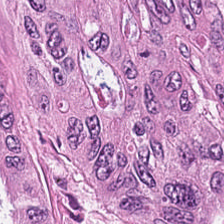20× equivalent magnification. 224×224 pixel tile. Hematoxylin-and-eosin stained section. The tissue class is colorectal adenocarcinoma.
